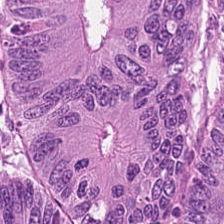This patch shows malignant epithelium.
